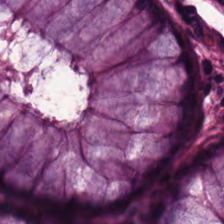H&E.
The tissue here is normal colonic mucosa.
